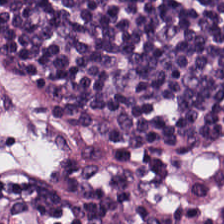224×224 pixel tile. H&E-stained tissue section. Brightfield microscopy. {"tissue_type": "lymphocyte aggregate"}
